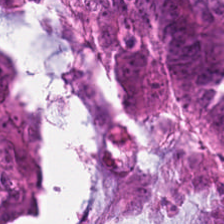Tissue class = colorectal adenocarcinoma epithelium.
